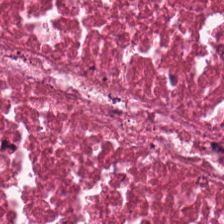Showing cellular debris.
